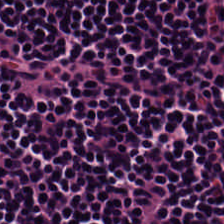H&E-stained tissue section — Predominant tissue: lymphocytic infiltrate.
